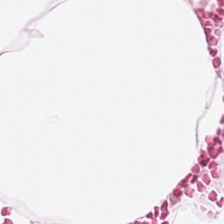Hematoxylin-and-eosin stained section — This patch shows adipose.
